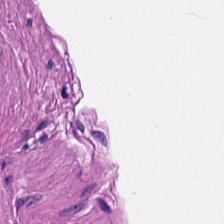Stain: H&E.
Classification: muscularis.
